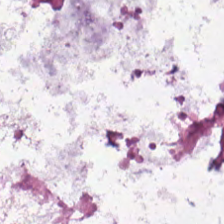Hematoxylin-and-eosin stained section — Tissue — mucin.
